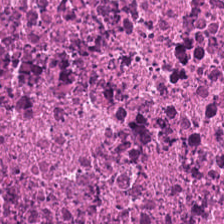H&E — Tissue class: cellular debris.
